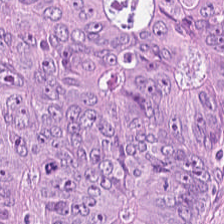Stain: H&E.
Classification: colorectal adenocarcinoma.
